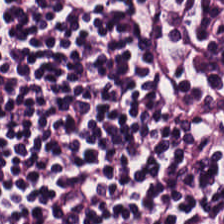Hematoxylin-and-eosin stained section; FFPE.
Finding — lymphocytic infiltrate.
